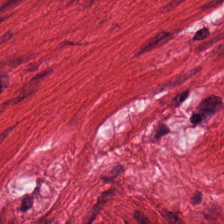Impression — smooth muscle.
